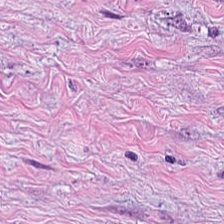Stain: hematoxylin and eosin.
Preparation: FFPE tissue section.
Tile size: 224×224 px tile.
Tissue: tumor stroma.
